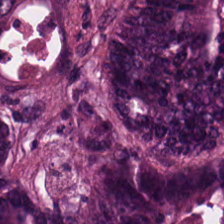H&E · FFPE tissue section · whole-slide-image patch. This patch shows colorectal adenocarcinoma.
